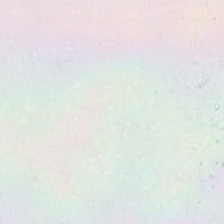Finding → background (no tissue).
